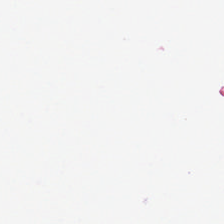Q: What does this patch show?
A: Empty background.
